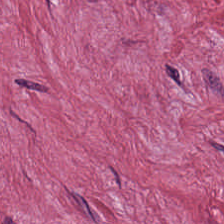The tissue class is cancer-associated stroma.
